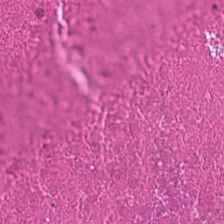Tissue = necrotic debris.
